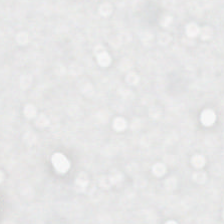Classification: no tissue.
